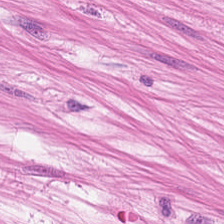Finding → smooth-muscle tissue.
